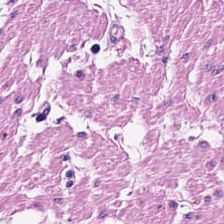Predominantly smooth muscle.
